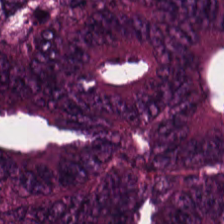Whole-slide-image patch · H&E — Impression — colorectal adenocarcinoma epithelium.
